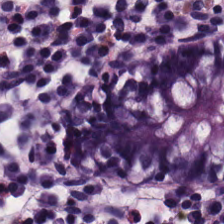H&E.
Classification: normal colonic mucosa.
